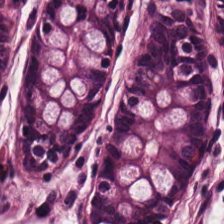Hematoxylin-and-eosin stained section — Classification: normal colon mucosa.
